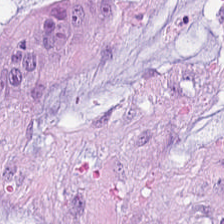Tissue: extracellular mucin.
